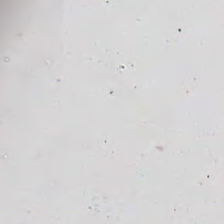H&E-stained tissue section — This patch shows no tissue.
